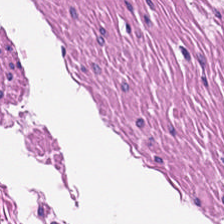Stain: H&E stain.
Tissue class: smooth-muscle tissue.
